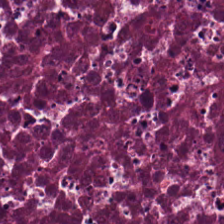Q: What is shown here?
A: This is necrotic debris.
